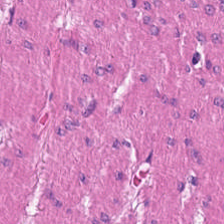H&E-stained tissue section. Formalin-fixed paraffin-embedded section. Tissue type — smooth-muscle tissue.
